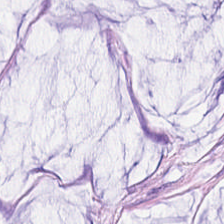H&E · FFPE tissue section · 0.5 microns per pixel. Q: What is shown here?
A: It is extracellular mucin.
